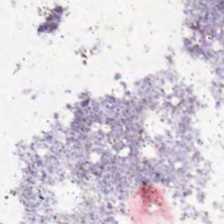Stain: hematoxylin and eosin.
Content: background.
